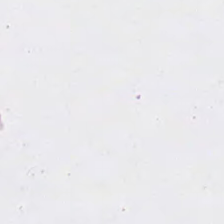224×224 pixel tile; H&E stain — {"content": "empty background"}
